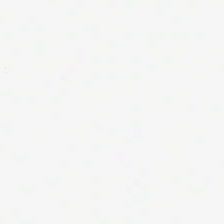This patch shows background (no tissue).
